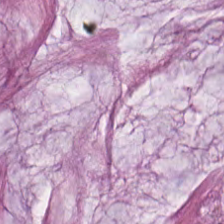Finding → extracellular mucin.
